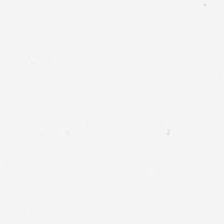H&E — Classification — empty background.
